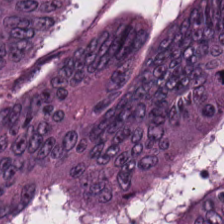224×224 px patch. Hematoxylin-and-eosin stained section. 0.5 µm/px.
Histology — colorectal adenocarcinoma.
